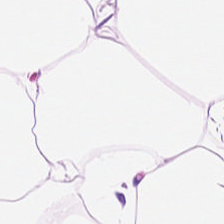Hematoxylin-and-eosin stained section · 224×224 px patch — Predominantly adipocytes.
